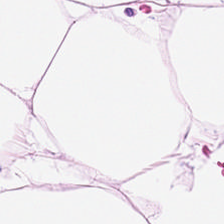Hematoxylin and eosin.
{"tissue_type": "adipose tissue"}
